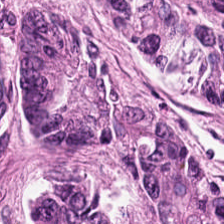Q: What is shown here?
A: It is tumor epithelium.
